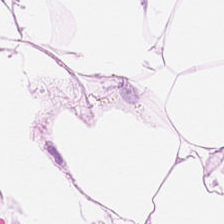WSI patch; hematoxylin and eosin — Tissue type: adipose.
